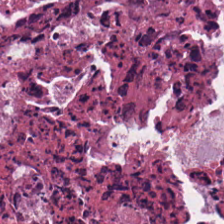Hematoxylin and eosin. Histology — debris.
